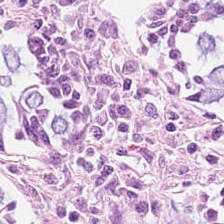H&E-stained section; the field shows normal colon mucosa.
